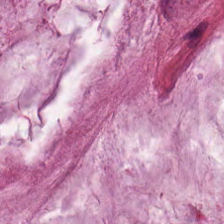Tissue = mucus.
